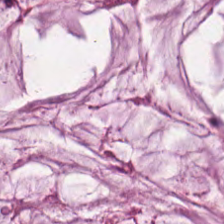Hematoxylin and eosin.
Classification — extracellular mucin.
